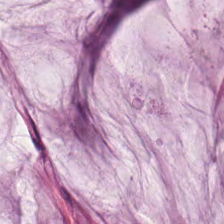Hematoxylin-and-eosin stained section · 0.5 µm/px · 224×224 px tile.
This field is mucus.
